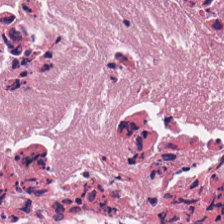Hematoxylin-and-eosin stained section; brightfield microscopy.
The predominant tissue is necrotic debris.
